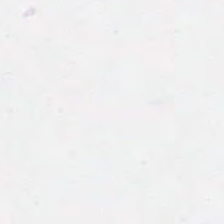WSI patch; hematoxylin-and-eosin stained section. Finding — background.
